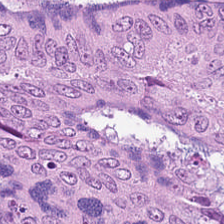H&E stain.
Showing adenocarcinoma.
